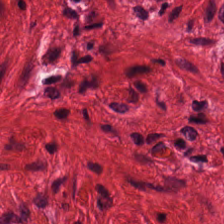0.5 microns per pixel. H&E-stained tissue section.
Q: What does this patch show?
A: This is muscularis.
